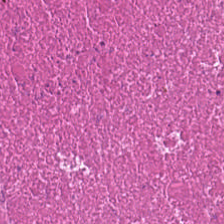Hematoxylin-and-eosin stained section. {"tissue_type": "debris"}
